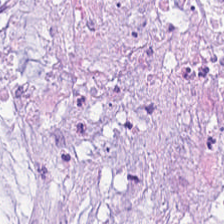Hematoxylin-and-eosin stained section. Q: What is shown here?
A: It is mucin.
